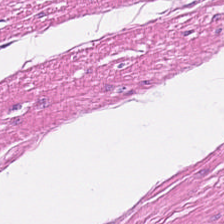WSI patch. Hematoxylin and eosin. Predominantly smooth muscle.
